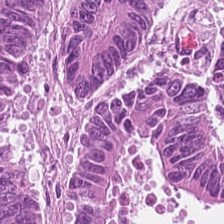H&E-stained section; the field shows tumor epithelium.
